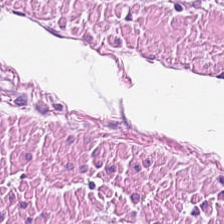The tissue here is smooth muscle.
